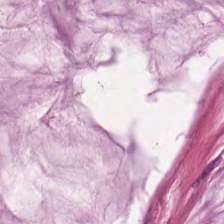Stain: hematoxylin-and-eosin stained section.
Classification: mucus.
